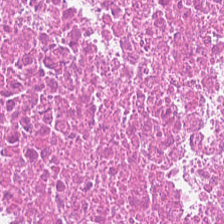Hematoxylin and eosin · WSI patch. Showing necrotic debris.
